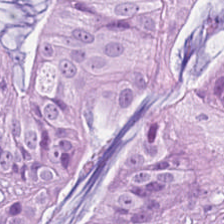Q: What type of tissue is this?
A: It is colorectal adenocarcinoma.
